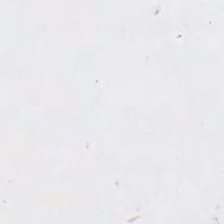H&E; 224×224 pixel tile — {"content": "background"}
